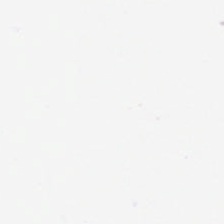Stain: H&E.
Acquisition: WSI patch.
Classification: empty background.
